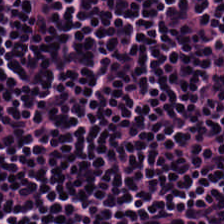Hematoxylin and eosin. 20× equivalent magnification — Tissue type — lymphocytic infiltrate.
